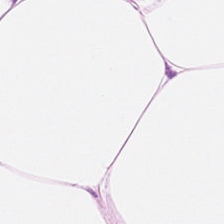H&E-stained tissue section.
{"tissue_type": "adipose tissue"}
